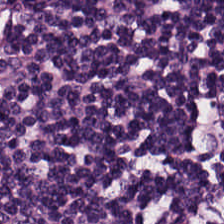Stain: hematoxylin and eosin.
Tile size: 224×224 pixel tile.
Predominant tissue: lymphoid infiltrate.
